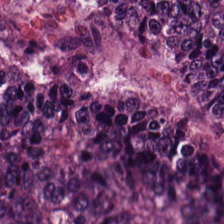Stain: hematoxylin-and-eosin stained section.
Classification: colorectal adenocarcinoma epithelium.
